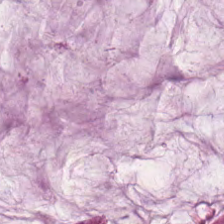H&E-stained tissue section.
The tissue class is extracellular mucin.
